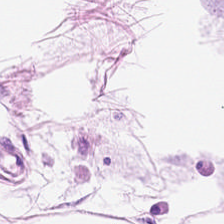Stain: hematoxylin-and-eosin stained section.
Tissue class: adipose.
